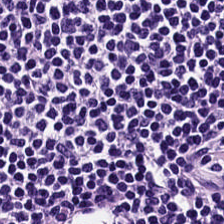Stain: H&E-stained tissue section.
Preparation: FFPE tissue section.
Classification: lymphocyte aggregate.
